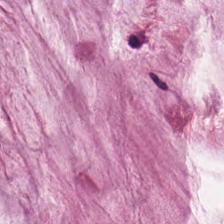H&E stain. Tissue type = mucin.
